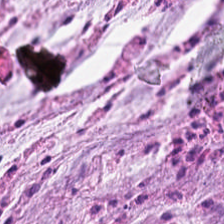Stain: hematoxylin-and-eosin stained section.
Resolution: 0.5 µm/px.
Tissue: extracellular mucin.
